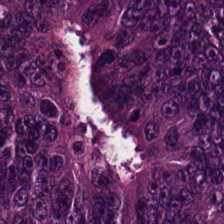FFPE tissue section · hematoxylin and eosin · 0.5 µm per pixel — Predominantly colorectal adenocarcinoma.
